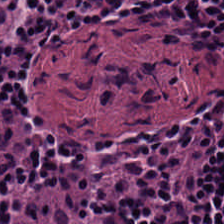224×224 pixel tile. Hematoxylin and eosin — This field is lymphocytes.
